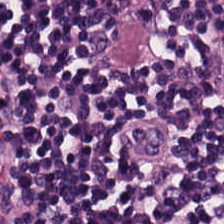Showing lymphocytes.
